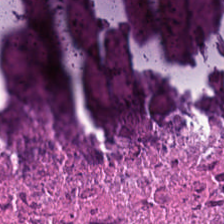Hematoxylin-and-eosin section: cellular debris.
